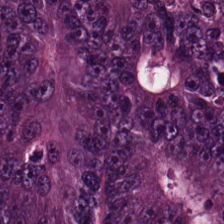Stain: hematoxylin and eosin.
Classification: colorectal adenocarcinoma.
